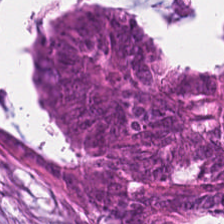H&E stain.
Classification — colorectal adenocarcinoma.
